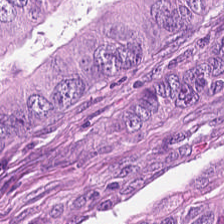H&E stain · 0.5 microns per pixel. Q: What is the predominant tissue type?
A: It is tumor epithelium.
